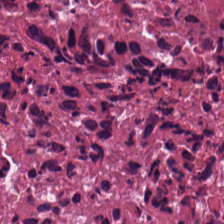Q: What tissue type is shown here?
A: It is debris.
